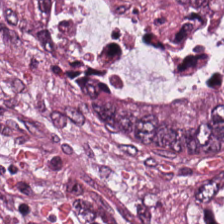Predominantly malignant epithelium.
